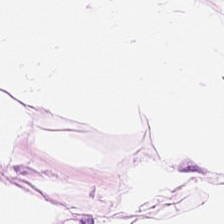FFPE tissue section; H&E-stained tissue section. Finding — adipocytes.
